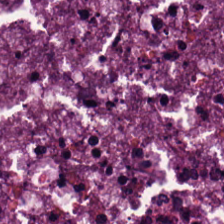Hematoxylin and eosin — Tissue type = adenocarcinoma.
